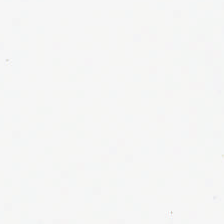224×224 pixel tile · hematoxylin-and-eosin stained section. Empty field — background (no tissue).
